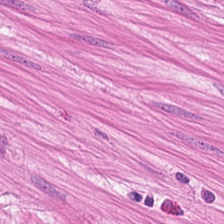224×224 px tile · H&E stain — Predominantly smooth-muscle tissue.
